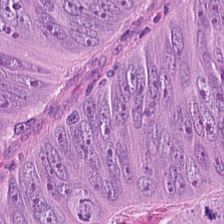FFPE · hematoxylin-and-eosin stained section — Classification = colorectal adenocarcinoma epithelium.
